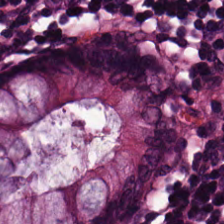0.5 microns per pixel · hematoxylin and eosin · brightfield. Impression → normal colonic mucosa.
